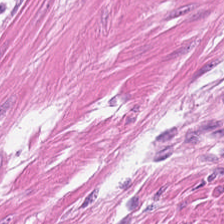Brightfield microscopy. H&E-stained tissue section. Histology — smooth-muscle tissue.
